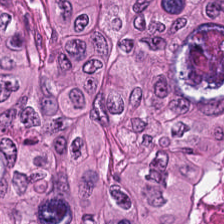The tissue is malignant epithelium.
